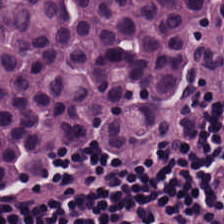Q: What tissue is shown?
A: Lymphocytic infiltrate.
